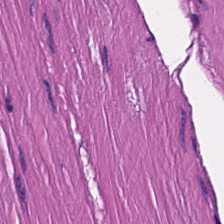H&E-stained tissue section.
Q: Identify the tissue.
A: The field shows smooth-muscle tissue.
